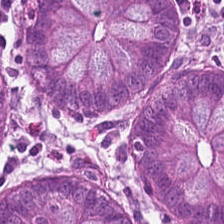224×224 px patch; H&E stain; brightfield. Showing normal colon mucosa.
